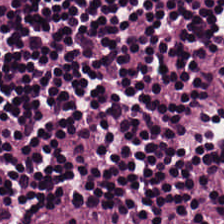0.5 µm/px. FFPE tissue section. H&E stain.
Q: What type of tissue is this?
A: The field shows lymphoid infiltrate.
